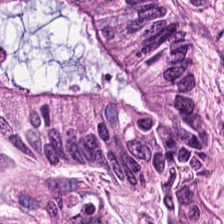0.5 µm per pixel. Hematoxylin-and-eosin stained section — Finding — colorectal adenocarcinoma.
